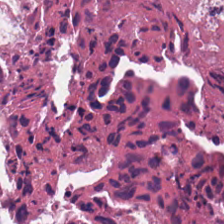H&E-stained tissue section showing debris.
